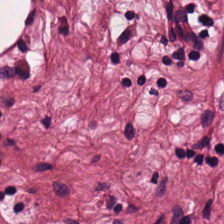H&E.
Showing desmoplastic stroma.
